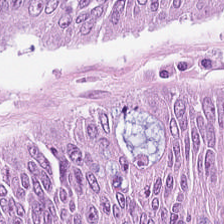Hematoxylin-and-eosin stained section · 224×224 px tile — The predominant tissue is colorectal adenocarcinoma.
